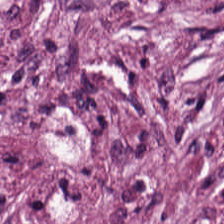H&E; 224×224 px tile. {"tissue_type": "desmoplastic stroma"}
